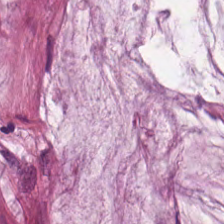Hematoxylin and eosin. Whole-slide-image patch — {"tissue_type": "extracellular mucin"}
